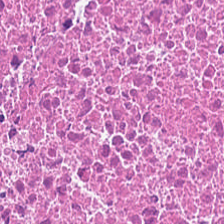Q: Classify this patch.
A: This is necrotic debris.
